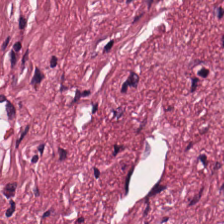Q: What type of tissue is this?
A: Cancer-associated stroma.
